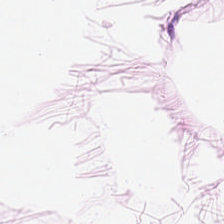20× equivalent magnification · FFPE · hematoxylin-and-eosin stained section — Predominantly adipocytes.
